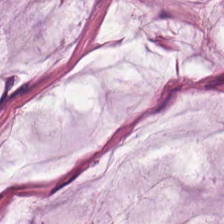H&E stain. This field is mucin.
